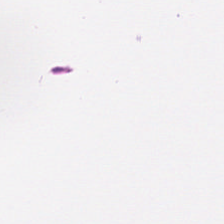H&E.
Tissue = smooth muscle.
